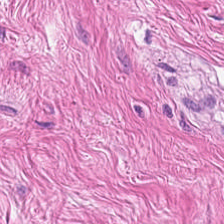Hematoxylin and eosin — The tissue here is muscularis.
